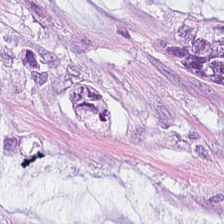Stain: H&E.
Preparation: formalin-fixed paraffin-embedded section.
Tissue: mucin.
